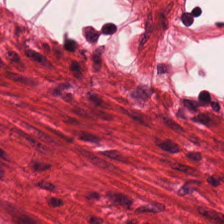Hematoxylin and eosin.
Classification — muscularis.
